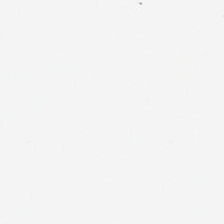0.5 µm per pixel · H&E stain. Impression — no tissue.
